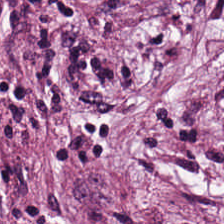Histology — cancer-associated stroma.
